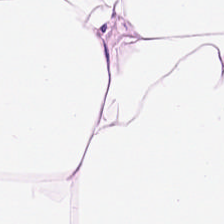Hematoxylin-and-eosin stained section. Whole-slide-image patch — The predominant tissue is adipose.
